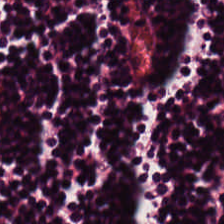H&E-stained tissue section.
Impression → lymphocytes.
